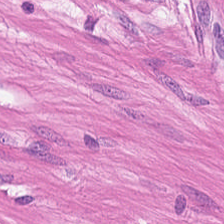224×224 px tile · brightfield microscopy · H&E-stained tissue section — Q: Identify the tissue.
A: This is smooth muscle.
